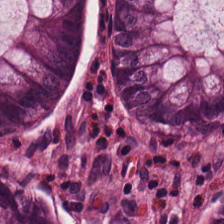Stain: H&E.
Tissue class: non-neoplastic colon mucosa.
